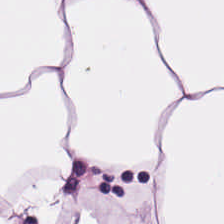H&E-stained tissue section — Q: What is shown in this field?
A: The field shows fat tissue.
